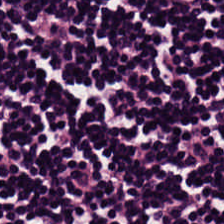H&E-stained tissue section.
Q: What is the predominant tissue type?
A: Lymphocytes.
